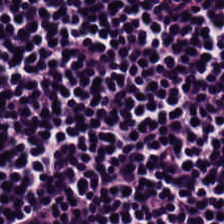FFPE; H&E stain. Tissue — lymphocytes.
